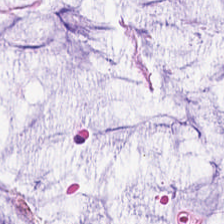H&E — Q: What is the predominant tissue type?
A: The field shows extracellular mucin.
